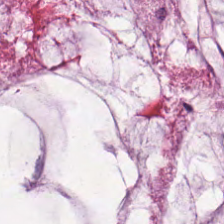Stain: hematoxylin and eosin.
Classification: mucin.
